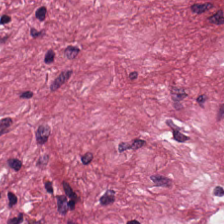H&E-stained section; the field shows tumor stroma.
